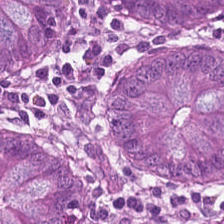Hematoxylin and eosin. Brightfield microscopy. The tissue here is normal colon mucosa.
